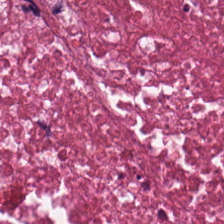FFPE; hematoxylin and eosin.
This field is debris.
